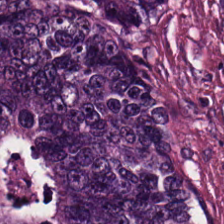Brightfield microscopy; 0.5 µm/px; hematoxylin and eosin. The predominant tissue is adenocarcinoma.
